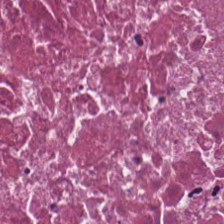224×224 pixel tile. H&E stain.
The predominant tissue is necrotic debris.
